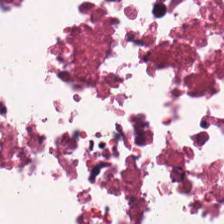Stain: hematoxylin and eosin.
Classification: debris.
